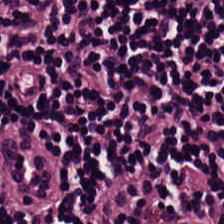H&E-stained tissue section showing lymphocyte aggregate.
